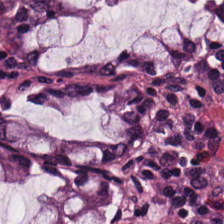H&E — Classification: non-neoplastic colon mucosa.
